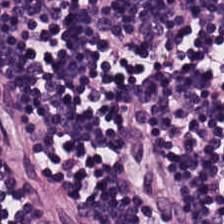H&E-stained tissue section · FFPE. The predominant tissue is lymphocytes.
